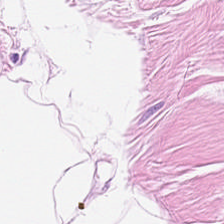H&E-stained tissue section. 224×224 px patch. Formalin-fixed paraffin-embedded section. Q: Identify the tissue.
A: This is fat tissue.
